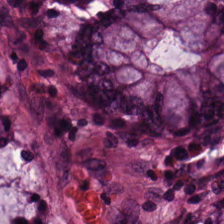This patch shows normal colon mucosa.
